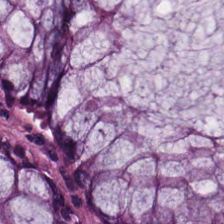Showing normal colon mucosa.
